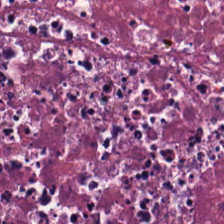Q: What is shown in this field?
A: Cellular debris.
